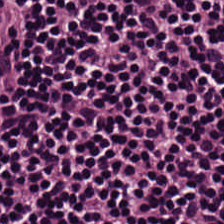Formalin-fixed paraffin-embedded section; hematoxylin-and-eosin stained section; 224×224 pixel tile.
Showing lymphocytes.
